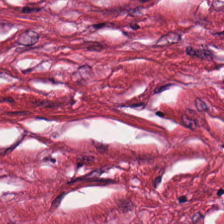H&E-stained tissue section; 0.5 µm/px — Q: What type of tissue is this?
A: This is desmoplastic stroma.
